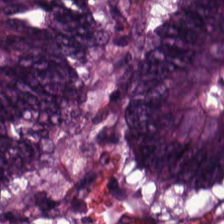H&E; 20× equivalent magnification; FFPE tissue section — This patch shows colorectal adenocarcinoma.
